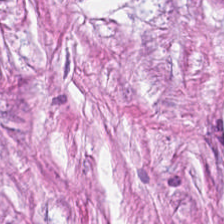{"tissue_type": "tumor stroma"}
